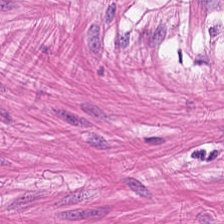H&E stain. Showing smooth-muscle tissue.
